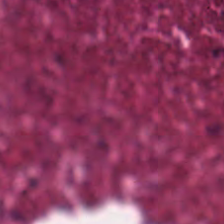FFPE tissue section. Whole-slide-image patch. Hematoxylin-and-eosin stained section.
The predominant tissue is necrotic debris.
